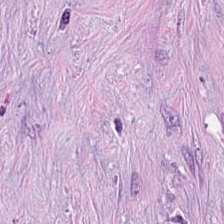Hematoxylin-and-eosin stained section · brightfield — Impression → tumor stroma.
